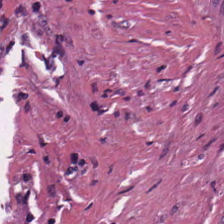Hematoxylin-and-eosin stained section — Q: What tissue is shown?
A: Cellular debris.
